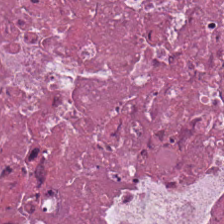WSI patch · 224×224 px patch · H&E stain.
Classification: debris.
